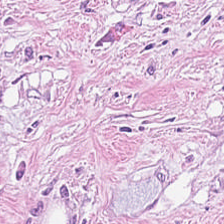Stain: H&E-stained tissue section.
Predominant tissue: tumor stroma.
